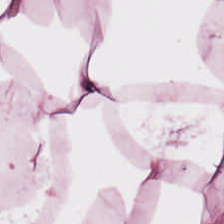Stain: H&E.
Predominant tissue: fat tissue.
